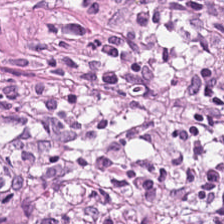This patch shows desmoplastic stroma.
